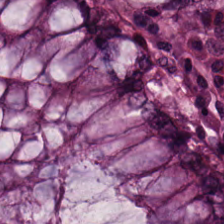0.5 µm/px; brightfield microscopy; H&E-stained tissue section — Predominant tissue — benign colonic mucosa.
